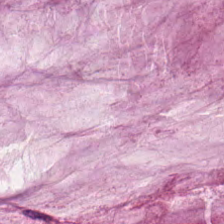Stain: hematoxylin-and-eosin stained section.
Predominant tissue: extracellular mucin.
